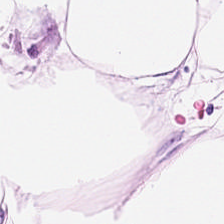Stain: hematoxylin-and-eosin stained section.
Resolution: 0.5 µm per pixel.
Tissue type: adipose tissue.
